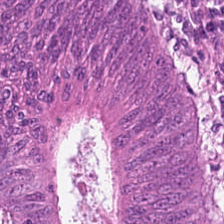Stain: hematoxylin and eosin.
Tissue class: colorectal adenocarcinoma.
